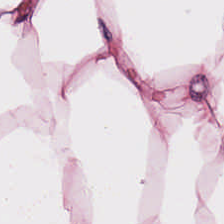{"tissue_type": "fat tissue"}
